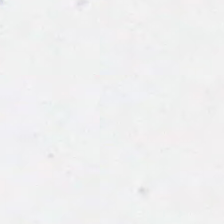H&E-stained tissue section — This patch shows empty background.
